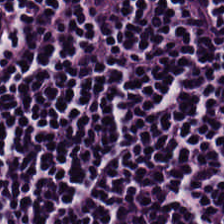Hematoxylin-and-eosin stained section — Impression — lymphocytic infiltrate.
